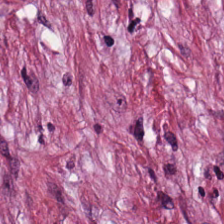H&E stain — Q: Classify this patch.
A: This is tumor-associated stroma.
